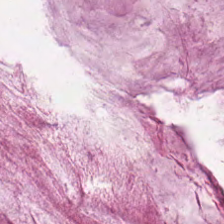H&E stain.
The tissue here is mucin.
